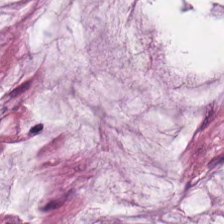Q: What tissue is shown?
A: This is extracellular mucin.
